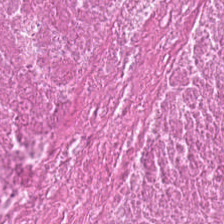Stain: hematoxylin-and-eosin stained section.
Acquisition: WSI patch.
Resolution: 20× equivalent magnification.
Classification: debris.
